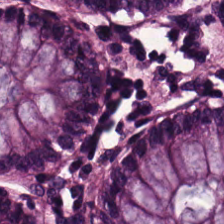H&E.
Tissue type — normal colonic mucosa.
